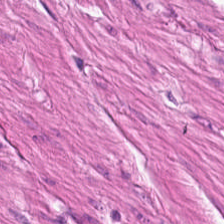224×224 pixel tile · hematoxylin and eosin — Finding — smooth muscle.
